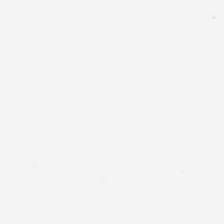FFPE; H&E — Content: no tissue.
